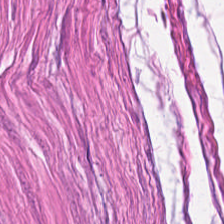H&E-stained tissue section. 224×224 px patch.
{"tissue_type": "smooth-muscle tissue"}
